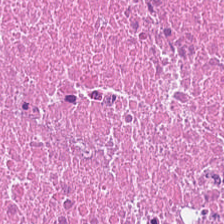H&E-stained tissue section. The tissue is debris.
